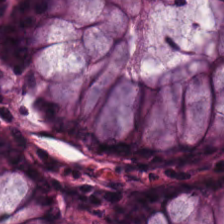Stain: hematoxylin-and-eosin stained section.
Tissue class: normal colonic mucosa.
